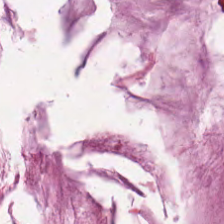Tissue type: extracellular mucin.
